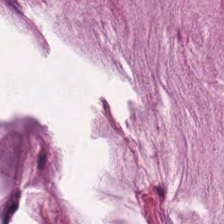0.5 µm/px. Hematoxylin and eosin. Q: Classify this patch.
A: This is mucus.
